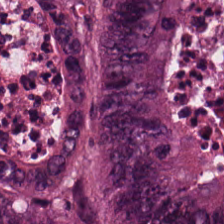FFPE. Hematoxylin and eosin. Q: What is the predominant tissue type?
A: The field shows colorectal adenocarcinoma epithelium.
